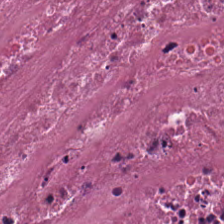Hematoxylin and eosin.
This patch shows debris.
